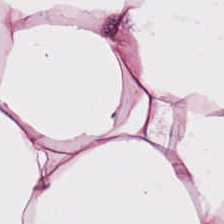H&E stain.
Showing fat tissue.
